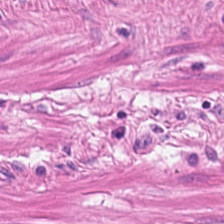Hematoxylin-and-eosin stained section. 224×224 px patch. FFPE tissue section. Q: What is shown in this field?
A: This is smooth-muscle tissue.
